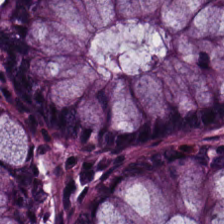224×224 px patch. WSI patch. H&E.
Predominantly normal colon mucosa.
